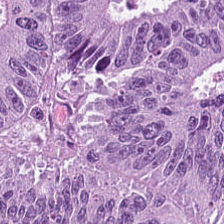The tissue class is colorectal adenocarcinoma.
